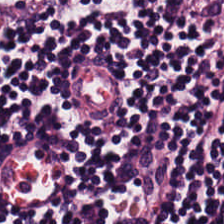Q: What type of tissue is this?
A: This is lymphocytic infiltrate.
